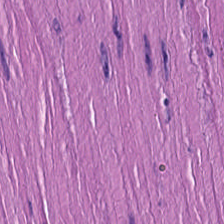H&E-stained tissue section showing smooth muscle.
